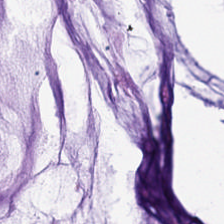H&E-stained tissue section.
{"tissue_type": "extracellular mucin"}
